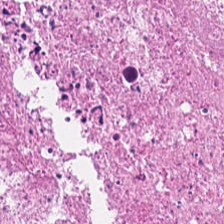H&E — The tissue here is debris.
